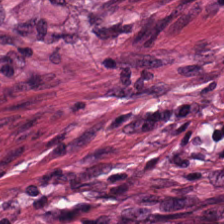H&E. Finding — desmoplastic stroma.
